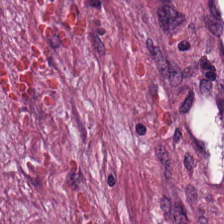Tissue = cancer-associated stroma.
